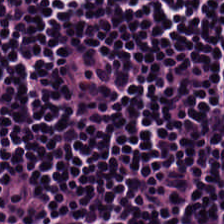Hematoxylin-and-eosin stained section. Predominant tissue = lymphoid infiltrate.
